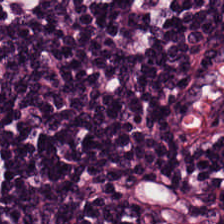Q: Classify this patch.
A: It is lymphoid infiltrate.
